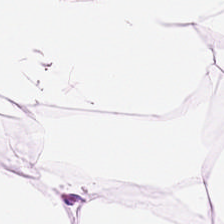H&E. Adipose.
